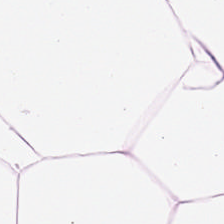Histology → adipocytes.
